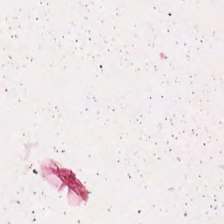The tissue type is debris.
